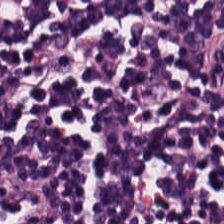Hematoxylin and eosin.
{"tissue_type": "lymphocytic infiltrate"}
